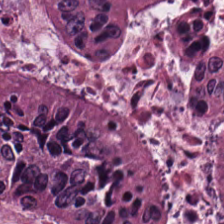224×224 px patch. Hematoxylin-and-eosin stained section.
Q: What does this patch show?
A: This is malignant epithelium.
